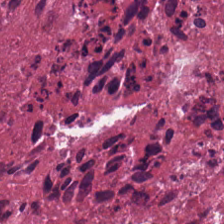H&E-stained tissue section · 0.5 µm/px — This field is necrotic debris.
